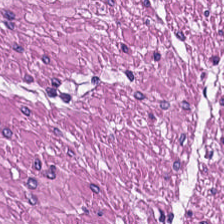Stain: H&E.
Tissue class: smooth muscle.
